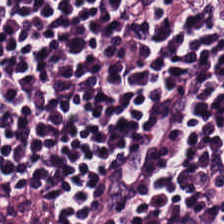H&E.
Finding — lymphocytic infiltrate.
